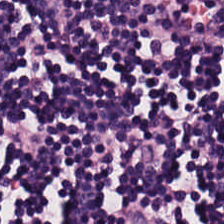H&E stain. The classification is lymphocyte aggregate.
